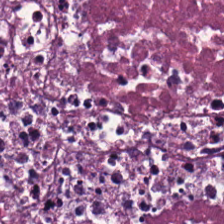Stain: hematoxylin-and-eosin stained section.
Tissue: necrotic debris.
